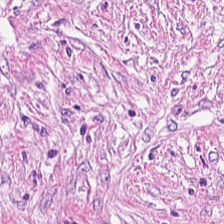Tissue type: cancer-associated stroma.
